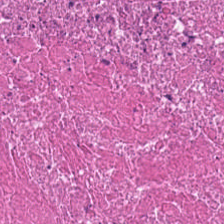The predominant tissue is cellular debris.
